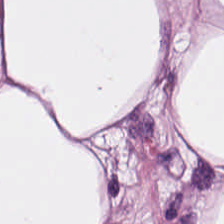Hematoxylin and eosin.
Fat tissue.
